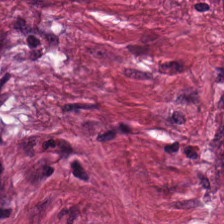H&E stain · 0.5 µm per pixel — Finding — tumor-associated stroma.
